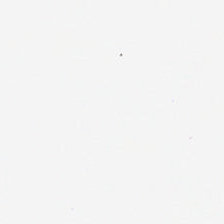Whole-slide-image patch · H&E-stained tissue section · formalin-fixed paraffin-embedded section. Classification — no tissue.
